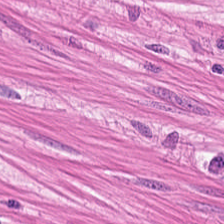Hematoxylin and eosin. Predominantly smooth muscle.
